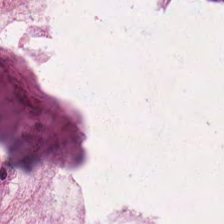Whole-slide-image patch. H&E. Showing mucin.
